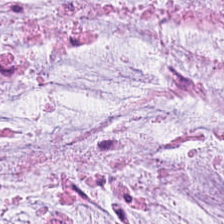224×224 px patch · H&E.
Extracellular mucin.
